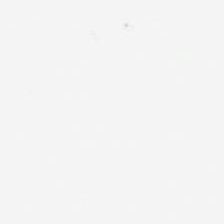H&E. No tissue present; background only.
